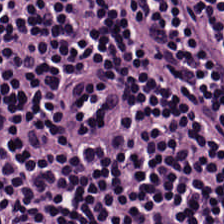FFPE tissue section · H&E · 224×224 px tile. The tissue type is lymphoid infiltrate.
